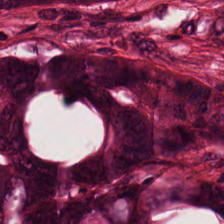H&E stain; brightfield — Showing tumor epithelium.
